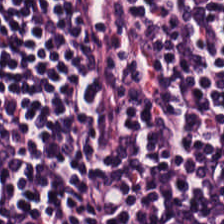H&E — The tissue type is lymphocytic infiltrate.
